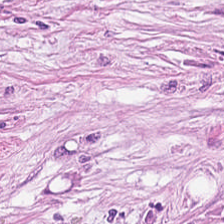H&E-stained tissue section — Q: What is shown in this field?
A: This is tumor stroma.
